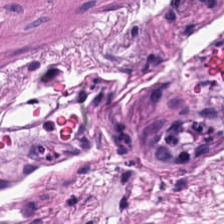Hematoxylin and eosin — This field is smooth-muscle tissue.
